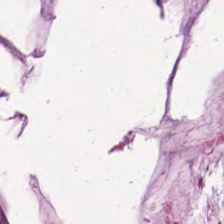This field is mucus.
